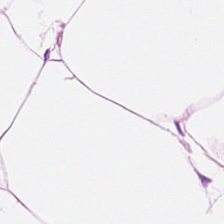H&E stain. The tissue class is adipose.
